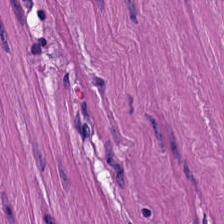H&E stain · 0.5 microns per pixel.
Classification = smooth muscle.
